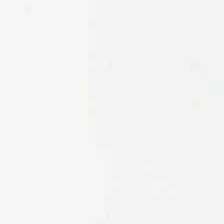Classification: background (no tissue).
